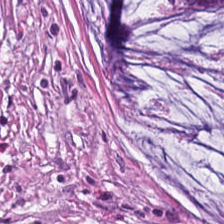Showing mucus.
